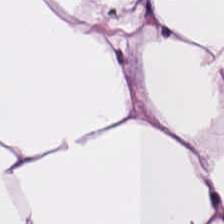Hematoxylin and eosin · 224×224 px tile. The tissue here is adipose.
